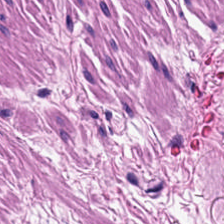H&E. Predominantly smooth muscle.
